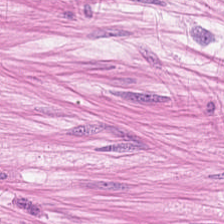H&E · FFPE.
Classification = smooth-muscle tissue.
